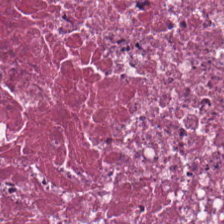Hematoxylin-and-eosin stained section.
Q: What is the predominant tissue type?
A: This is necrotic debris.
